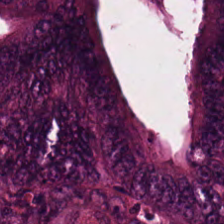H&E-stained tissue section. Predominantly adenocarcinoma.
